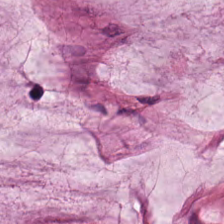Predominant tissue: extracellular mucin.
